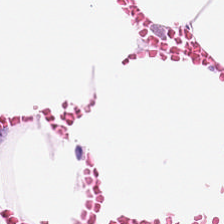H&E.
This patch shows fat tissue.
